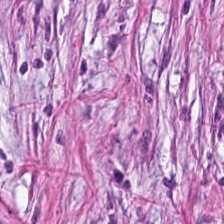Stain: hematoxylin-and-eosin stained section.
Tissue: tumor-associated stroma.
